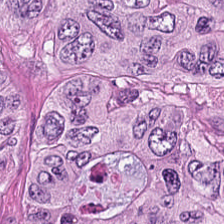Hematoxylin and eosin. Histology → tumor epithelium.
